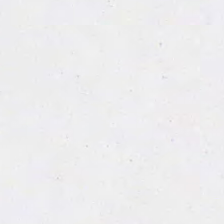This field is background (no tissue).
